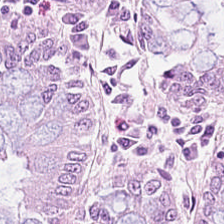FFPE; 224×224 px tile; H&E-stained tissue section.
Predominantly normal colonic mucosa.
